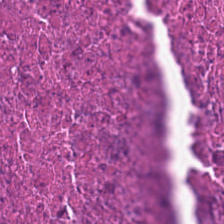H&E-stained tissue section. Predominant tissue = necrotic debris.
